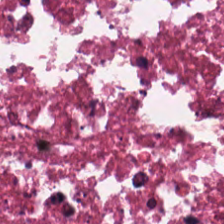Hematoxylin-and-eosin stained section — The predominant tissue is necrotic debris.
